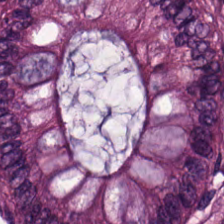H&E stain. Q: Identify the tissue.
A: Non-neoplastic colon mucosa.
